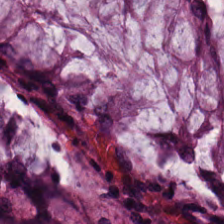H&E stain · brightfield microscopy. Showing normal colonic mucosa.
